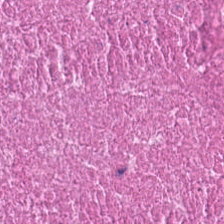Tissue class: cellular debris.
